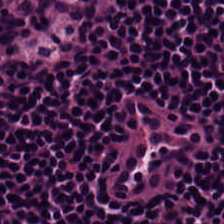Tissue = lymphocyte aggregate.
